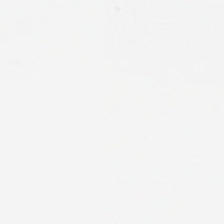Hematoxylin and eosin. Empty field — background.
